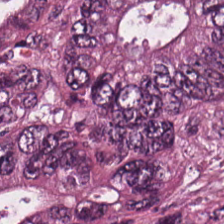H&E-stained tissue section · 224×224 px patch — Tissue = colorectal adenocarcinoma epithelium.
